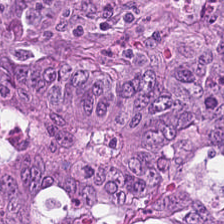Stain: H&E stain.
Tile size: 224×224 px patch.
Preparation: formalin-fixed paraffin-embedded section.
Predominant tissue: colorectal adenocarcinoma.
